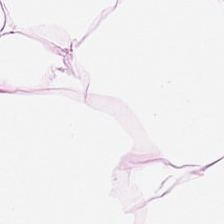FFPE tissue section · H&E-stained tissue section.
Impression → adipose.
